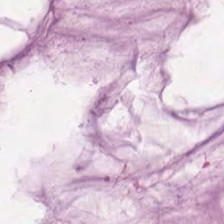Hematoxylin and eosin. Impression → mucin.
